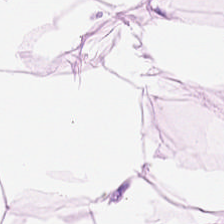H&E.
{"tissue_type": "adipose"}
